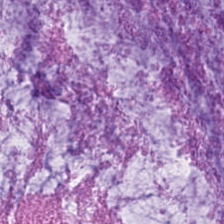The predominant tissue is extracellular mucin.
